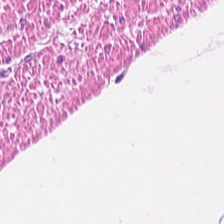Hematoxylin-and-eosin stained section · formalin-fixed paraffin-embedded section.
{"tissue_type": "smooth-muscle tissue"}
